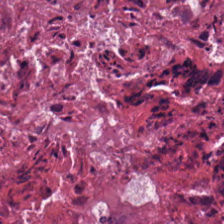Q: Classify this patch.
A: This is cellular debris.
